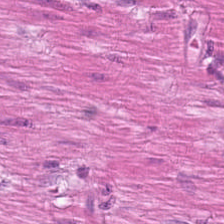H&E; WSI patch.
This patch shows muscularis.
